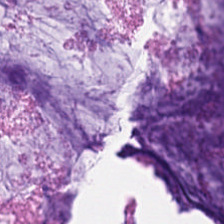H&E-stained tissue section — This field is mucin.
